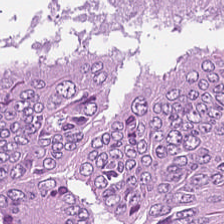H&E-stained tissue section. 0.5 microns per pixel — Histology — tumor epithelium.
